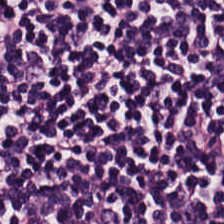224×224 px patch. Whole-slide-image patch. H&E-stained tissue section.
Tissue type — lymphoid infiltrate.
